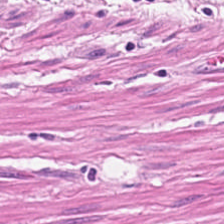Stain: hematoxylin-and-eosin stained section.
Tile size: 224×224 px tile.
Tissue class: muscularis.
